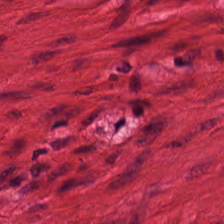Hematoxylin and eosin. Showing smooth-muscle tissue.
